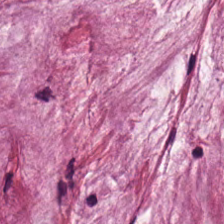Impression → extracellular mucin.
